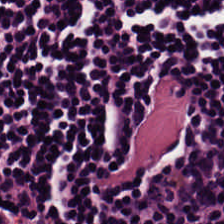Stain: H&E.
Resolution: 20× equivalent magnification.
Tissue type: lymphoid infiltrate.
